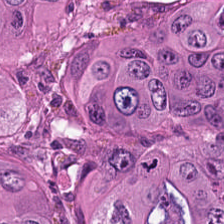This field is colorectal adenocarcinoma.
